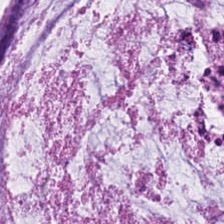H&E-stained tissue section — Predominant tissue — extracellular mucin.
